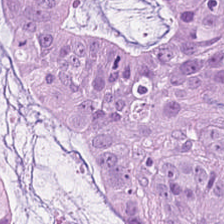The tissue here is colorectal adenocarcinoma.
